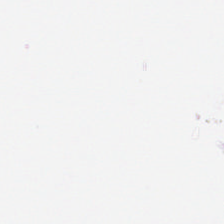224×224 px patch · hematoxylin and eosin · whole-slide-image patch. {"content": "no tissue"}
